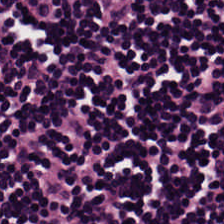Stain: H&E stain.
Preparation: FFPE.
Tissue: lymphoid infiltrate.
